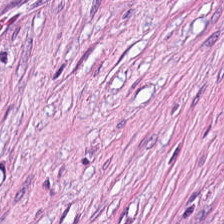WSI patch · hematoxylin and eosin · FFPE tissue section — This patch shows desmoplastic stroma.
